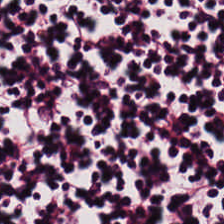0.5 microns per pixel. Hematoxylin and eosin. Tissue type — lymphocytic infiltrate.
